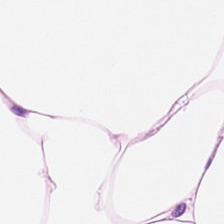FFPE. H&E.
Tissue class — fat tissue.
